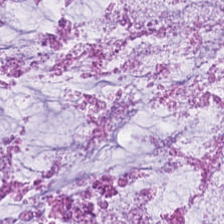H&E-stained tissue section.
Q: What tissue type is shown here?
A: This is mucus.
